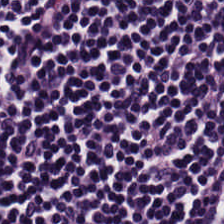Hematoxylin and eosin; 224×224 px patch — Finding → lymphocytes.
